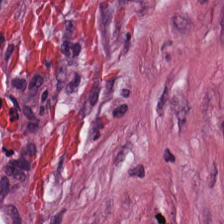Brightfield · 224×224 px patch · H&E.
Predominantly cancer-associated stroma.
